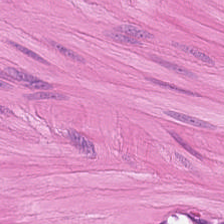Hematoxylin and eosin — Showing smooth-muscle tissue.
